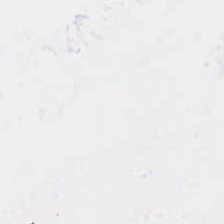224×224 pixel tile. 0.5 µm per pixel. H&E-stained tissue section. Histology → background.
